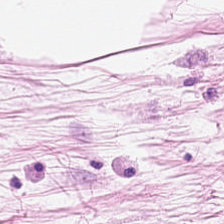Hematoxylin-and-eosin stained section — Histology — fat tissue.
